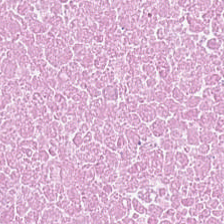Stain: hematoxylin-and-eosin stained section.
Tissue: necrotic debris.
